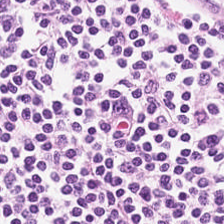H&E stain — This field is lymphoid infiltrate.
